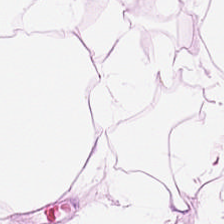H&E stain. 224×224 pixel tile. Tissue: fat tissue.
